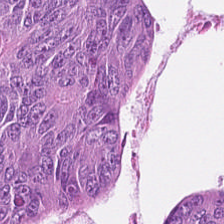Hematoxylin-and-eosin stained section — Q: Classify this patch.
A: This is tumor epithelium.
